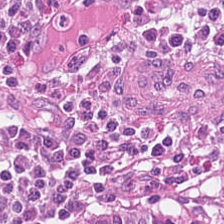Formalin-fixed paraffin-embedded section · hematoxylin and eosin — The predominant tissue is colorectal adenocarcinoma.
